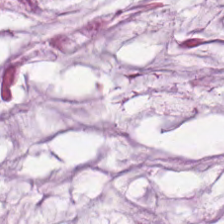Formalin-fixed paraffin-embedded section · H&E stain — Tissue type — extracellular mucin.
